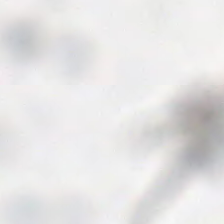{"content": "no tissue"}
